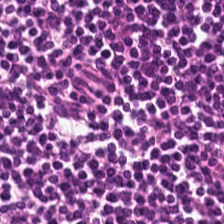H&E stain. 224×224 px patch. Showing lymphocytic infiltrate.
